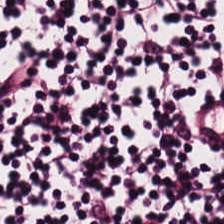Hematoxylin and eosin. Q: What does this patch show?
A: It is lymphoid infiltrate.
